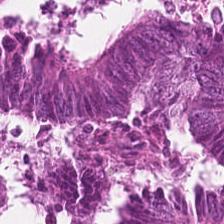Q: What is shown in this field?
A: It is tumor epithelium.
